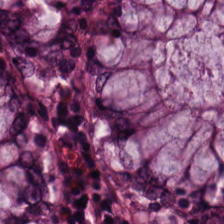Hematoxylin-and-eosin stained section.
This field is non-neoplastic colon mucosa.
